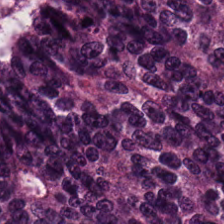Hematoxylin-and-eosin stained section · 0.5 µm/px · FFPE.
The predominant tissue is tumor epithelium.
